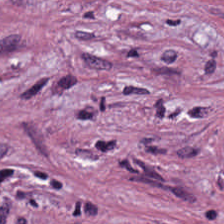H&E. Q: What tissue is shown?
A: It is tumor-associated stroma.
